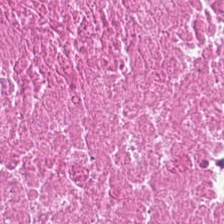Hematoxylin-and-eosin stained section — Impression — debris.
